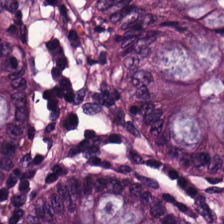Stain: hematoxylin-and-eosin stained section.
Tile size: 224×224 px tile.
Classification: normal colon mucosa.
